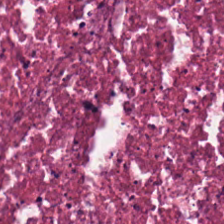FFPE tissue section. H&E stain — Histology → necrotic debris.
